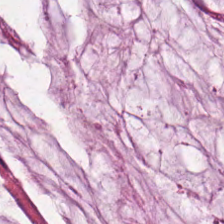Hematoxylin-and-eosin stained section · brightfield — Q: What does this patch show?
A: This is mucus.
